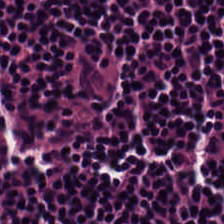H&E stain — The predominant tissue is lymphocyte aggregate.
